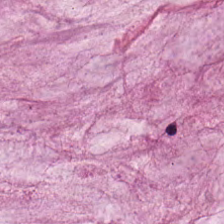Stain: hematoxylin-and-eosin stained section.
Classification: mucin.
